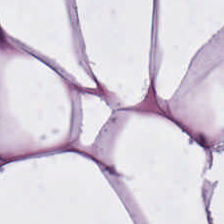Hematoxylin and eosin.
Predominantly adipocytes.
